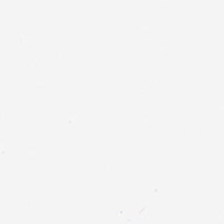Stain: hematoxylin-and-eosin stained section.
Classification: no tissue.
